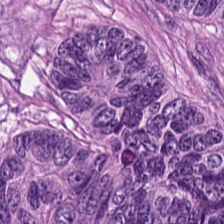H&E. Brightfield.
This patch shows colorectal adenocarcinoma.
